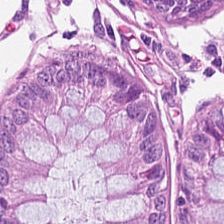H&E-stained section; the field shows normal colonic mucosa.
